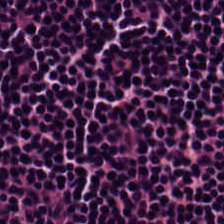Hematoxylin-and-eosin stained section · FFPE — Lymphocytic infiltrate.
